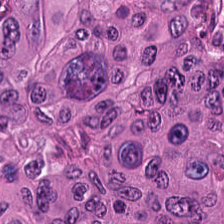H&E. 0.5 µm per pixel — Predominant tissue: colorectal adenocarcinoma.
